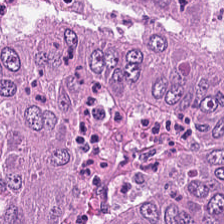H&E — This field is colorectal adenocarcinoma.
